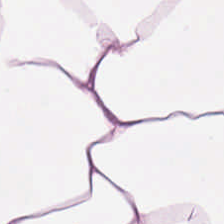H&E-stained tissue section.
Q: What does this patch show?
A: It is adipocytes.
